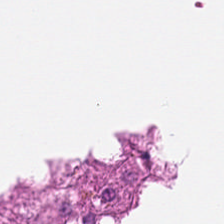Empty field — empty background.
